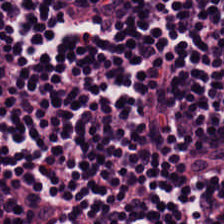Impression — lymphocytes.
